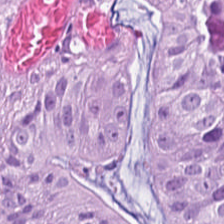Stain: H&E stain.
Predominant tissue: colorectal adenocarcinoma epithelium.
